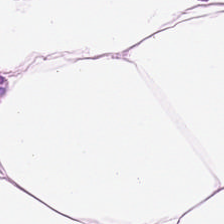Hematoxylin and eosin.
This field is fat tissue.
